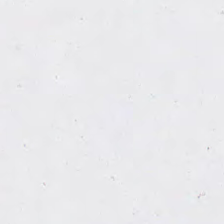Finding — background.
